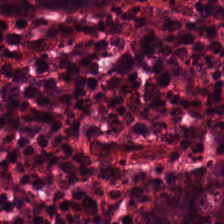Q: What type of tissue is this?
A: This is normal colonic mucosa.
